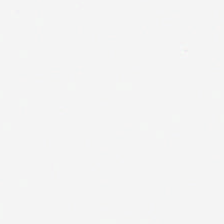Classification — background.
